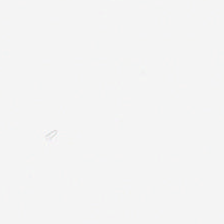Stain: hematoxylin-and-eosin stained section.
Classification: empty background.
